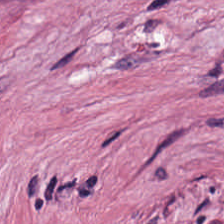Hematoxylin-and-eosin stained section.
Histology → desmoplastic stroma.
